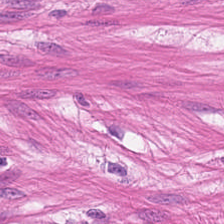H&E-stained tissue section.
Tissue class = muscularis.
